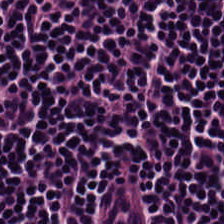FFPE tissue section. 224×224 pixel tile. H&E — Tissue class — lymphocytic infiltrate.
